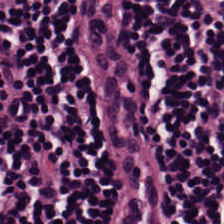Predominant tissue — lymphocyte aggregate.
